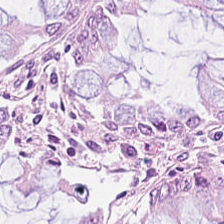Hematoxylin-and-eosin stained section — The tissue here is normal colon mucosa.
